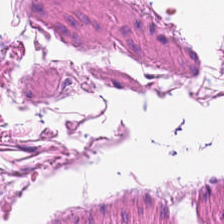0.5 µm/px. H&E.
Predominantly smooth muscle.
